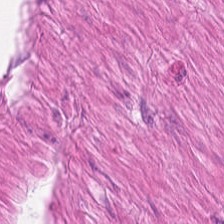H&E patch showing smooth-muscle tissue.
